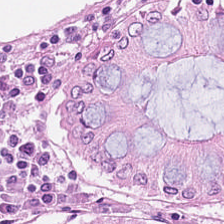H&E stain.
This patch shows normal colonic mucosa.
